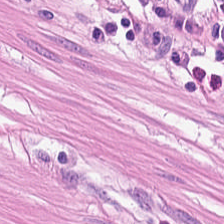Q: What is shown here?
A: The field shows muscularis.
